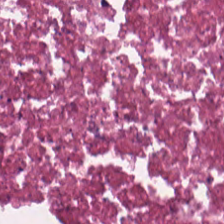20× equivalent magnification; hematoxylin-and-eosin stained section. Q: What is shown in this field?
A: This is cellular debris.
